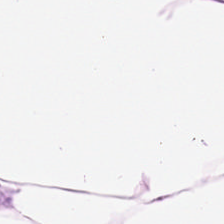Q: What is shown in this field?
A: The field shows fat tissue.
